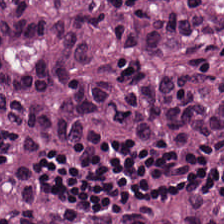{"tissue_type": "adenocarcinoma"}
